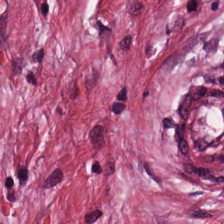H&E stain · 0.5 microns per pixel · FFPE — This patch shows desmoplastic stroma.
